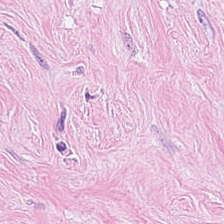Brightfield; H&E stain; 224×224 pixel tile — This patch shows desmoplastic stroma.
